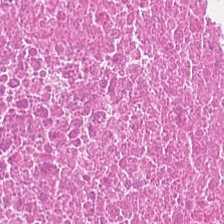224×224 pixel tile; H&E stain; whole-slide-image patch.
Showing debris.
